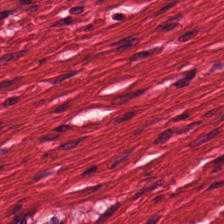Impression → smooth-muscle tissue.
